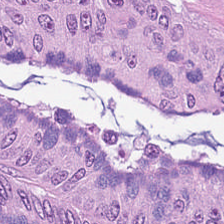Hematoxylin and eosin. Brightfield microscopy.
Tumor epithelium.
